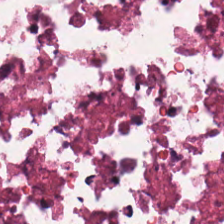H&E — debris.
